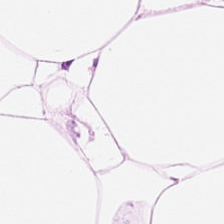224×224 px patch · hematoxylin-and-eosin stained section. Histology → fat tissue.
